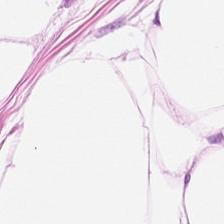H&E — Predominantly fat tissue.
